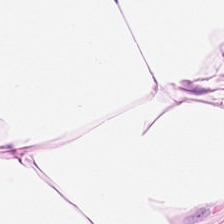224×224 px tile · WSI patch · H&E — Impression → fat tissue.
